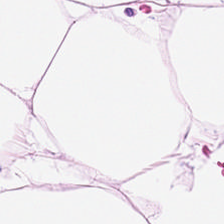H&E-stained tissue section. Tissue — fat tissue.
